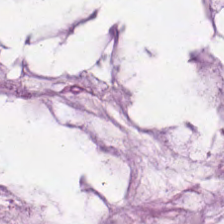Brightfield · hematoxylin and eosin · 0.5 µm per pixel. The tissue here is mucus.
